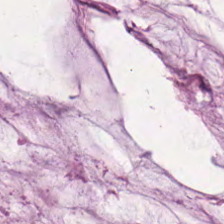20× equivalent magnification · H&E stain · FFPE tissue section.
This patch shows extracellular mucin.
